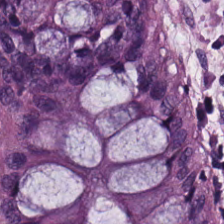Stain: H&E-stained tissue section.
Acquisition: brightfield.
Tissue class: benign colonic mucosa.
